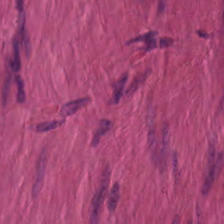Hematoxylin-and-eosin stained section. Showing smooth muscle.
